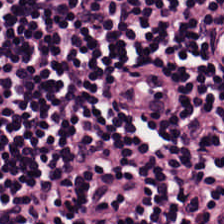Hematoxylin and eosin; 224×224 pixel tile; 0.5 µm per pixel — This patch shows lymphocyte aggregate.
